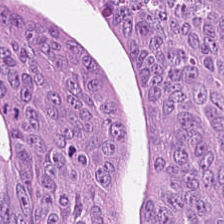Stain: H&E-stained tissue section.
Preparation: FFPE tissue section.
Acquisition: whole-slide-image patch.
Classification: malignant epithelium.
